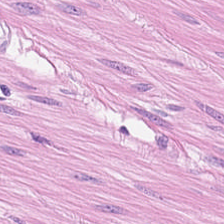H&E-stained tissue section. 224×224 px patch — Impression → smooth-muscle tissue.
